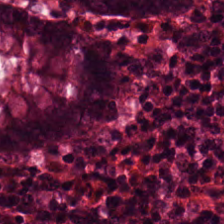Hematoxylin-and-eosin stained section. This field is benign colonic mucosa.
